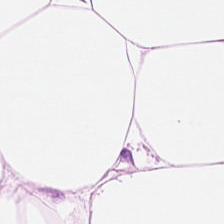H&E stain.
Tissue = adipose tissue.
